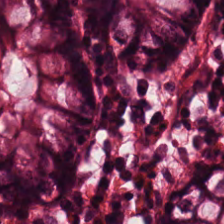Hematoxylin-and-eosin stained section — Tissue = normal colonic mucosa.
